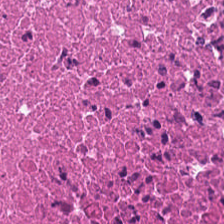This patch shows debris.
